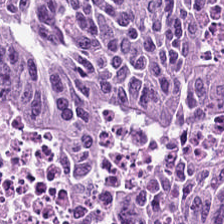Impression → colorectal adenocarcinoma.
